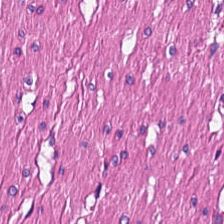Stain: H&E stain.
Resolution: 0.5 µm/px.
Classification: smooth muscle.
